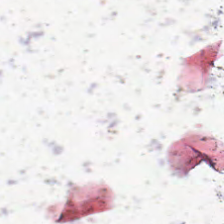H&E; FFPE tissue section. The content is no tissue.
